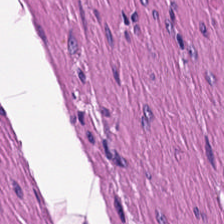Stain: H&E-stained tissue section.
Tissue class: muscularis.
